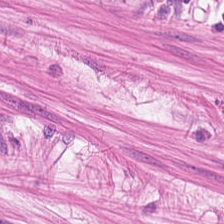FFPE tissue section. H&E.
This field is smooth-muscle tissue.
